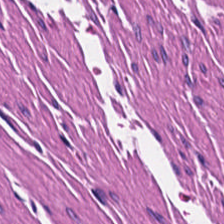Showing smooth-muscle tissue.
